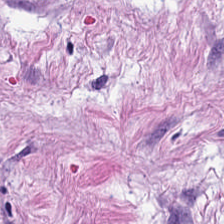Hematoxylin-and-eosin stained section.
Finding — cancer-associated stroma.
